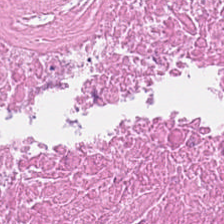Hematoxylin and eosin. This field is debris.
